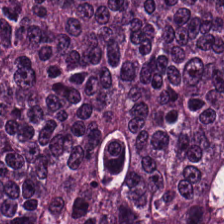H&E-stained tissue section.
Histology — malignant epithelium.
